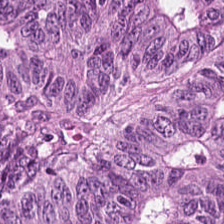H&E-stained tissue section; brightfield microscopy — Colorectal adenocarcinoma epithelium.
